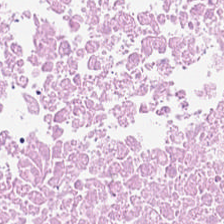Hematoxylin and eosin · 0.5 microns per pixel · brightfield microscopy — This patch shows debris.
